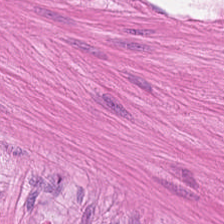FFPE tissue section; hematoxylin-and-eosin stained section.
This patch shows muscularis.
